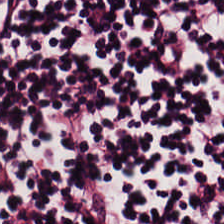Stain: H&E.
Tissue type: lymphocyte aggregate.
